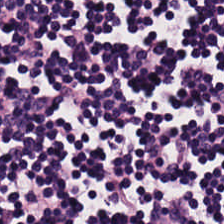The predominant tissue is lymphocytes.
